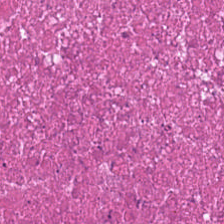Stain: H&E.
Preparation: FFPE tissue section.
Tissue type: cellular debris.
